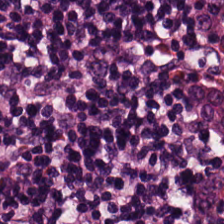Stain: hematoxylin-and-eosin stained section.
Tissue type: lymphocyte aggregate.
